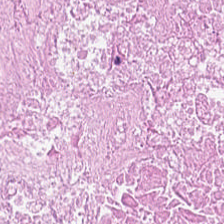H&E stain. FFPE. Impression → debris.
